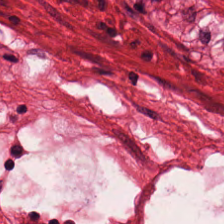H&E stain — The predominant tissue is smooth-muscle tissue.
